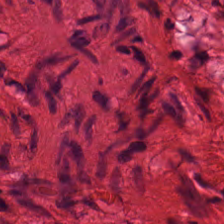H&E-stained tissue section.
This field is smooth muscle.
